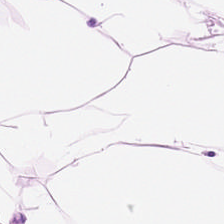Tissue — adipose tissue.
